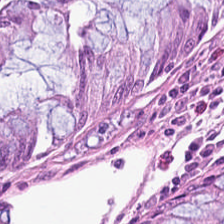FFPE · H&E stain.
Classification: benign colonic mucosa.
